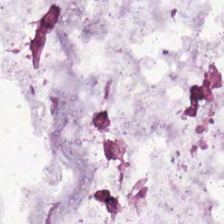H&E.
Predominantly extracellular mucin.
